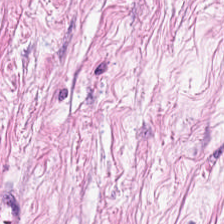Hematoxylin and eosin. Brightfield — Tissue = tumor-associated stroma.
